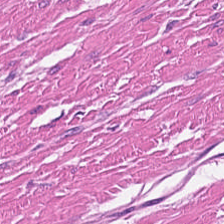WSI patch. Hematoxylin and eosin.
Classification = smooth-muscle tissue.
